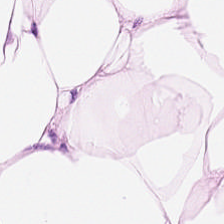H&E-stained section; the field shows adipose tissue.
